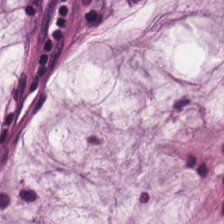Hematoxylin-and-eosin stained section; FFPE — The tissue class is mucus.
